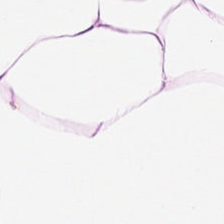{"tissue_type": "adipose"}
